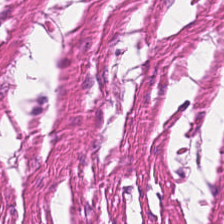Hematoxylin-and-eosin section: smooth muscle.
